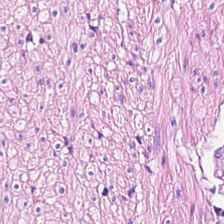WSI patch · H&E — Smooth-muscle tissue.
